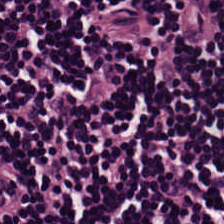Formalin-fixed paraffin-embedded section; 0.5 microns per pixel; hematoxylin-and-eosin stained section. Q: What tissue type is shown here?
A: This is lymphoid infiltrate.
